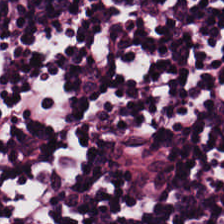H&E-stained section; the field shows lymphocytic infiltrate.
